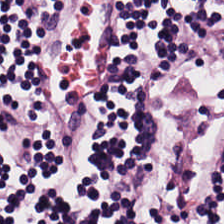WSI patch; formalin-fixed paraffin-embedded section; H&E-stained tissue section — Q: Identify the tissue.
A: It is lymphocytic infiltrate.
